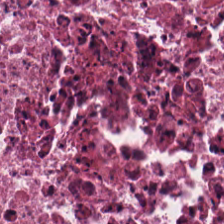H&E-stained tissue section showing necrotic debris.
